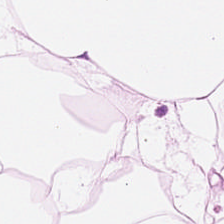FFPE. H&E — Showing adipose tissue.
